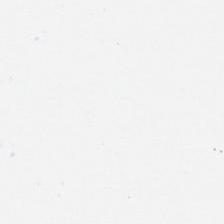H&E stain. 224×224 px tile — Q: What is shown here?
A: This is no tissue.
